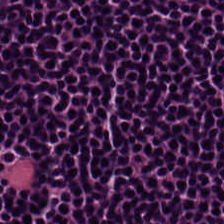H&E-stained tissue section — This field is lymphoid infiltrate.
